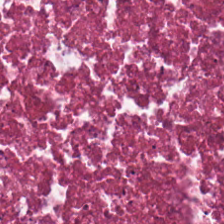0.5 microns per pixel. Hematoxylin and eosin — Tissue class = necrotic debris.
